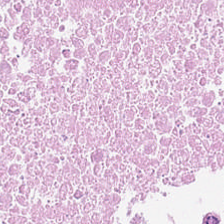Hematoxylin-and-eosin stained section.
Q: What is shown in this field?
A: It is necrotic debris.
